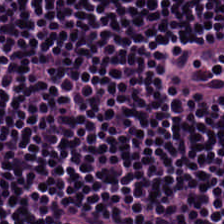This field is lymphoid infiltrate.
